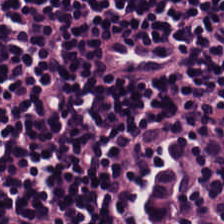The predominant tissue is lymphocytic infiltrate.
